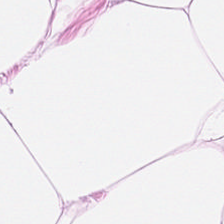Tissue class = adipose tissue.
